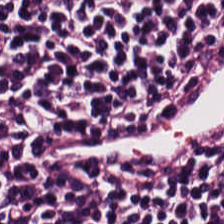Hematoxylin and eosin — {"tissue_type": "lymphoid infiltrate"}
